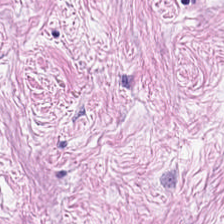Stain: H&E.
Tile size: 224×224 px tile.
Preparation: formalin-fixed paraffin-embedded section.
Tissue type: tumor stroma.
